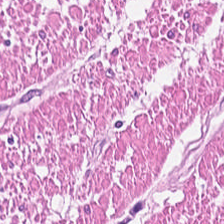Hematoxylin and eosin. Histology — muscularis.
